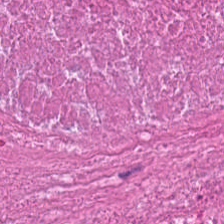224×224 px tile · H&E stain.
Classification: necrotic debris.
